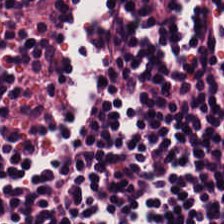Stain: H&E.
Predominant tissue: lymphocyte aggregate.
